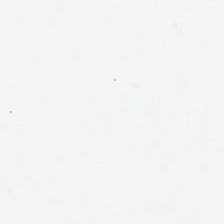H&E stain.
The field content is empty background.
